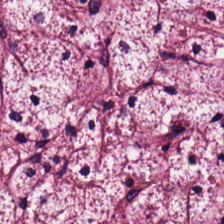Q: What is shown in this field?
A: It is cancer-associated stroma.
